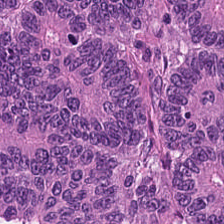Brightfield · H&E.
Tissue type — tumor epithelium.
